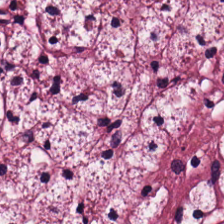Finding — tumor-associated stroma.
